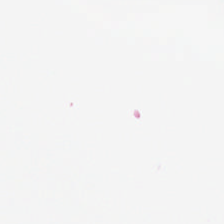224×224 px patch · FFPE tissue section · H&E. Q: What is shown here?
A: Background.
